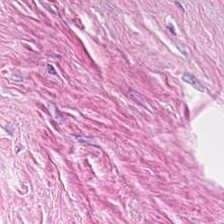Predominant tissue: desmoplastic stroma.
